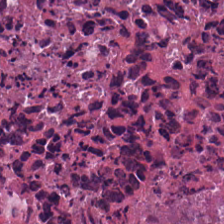H&E-stained tissue section; whole-slide-image patch.
The predominant tissue is debris.
